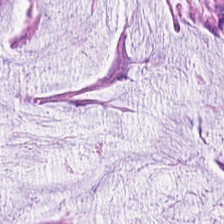20× equivalent magnification. H&E stain. This patch shows extracellular mucin.
